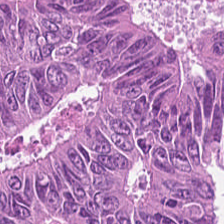0.5 µm/px. 224×224 px patch. Hematoxylin-and-eosin stained section.
Colorectal adenocarcinoma.
